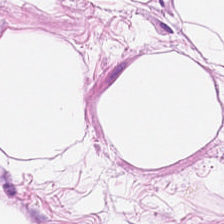Hematoxylin-and-eosin stained section; 224×224 px patch.
Predominantly fat tissue.
